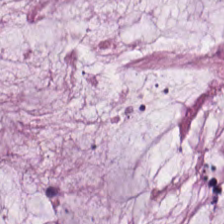Hematoxylin-and-eosin section: mucus.
